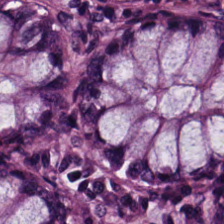Brightfield; 224×224 px patch; H&E stain — The predominant tissue is non-neoplastic colon mucosa.
